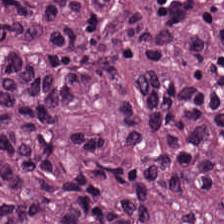Impression — tumor epithelium.
